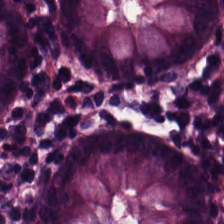H&E; brightfield — This field is non-neoplastic colon mucosa.
